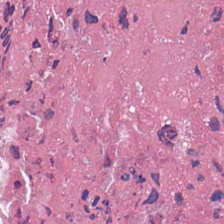The tissue is cellular debris.
